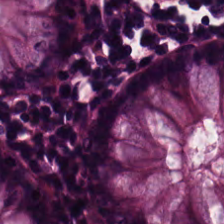Stain: H&E stain.
Tissue: non-neoplastic colon mucosa.
